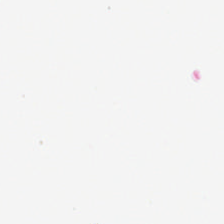Formalin-fixed paraffin-embedded section · hematoxylin and eosin. Q: Classify this patch.
A: This is background (no tissue).
